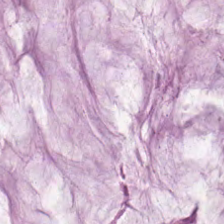Stain: hematoxylin-and-eosin stained section.
Acquisition: brightfield.
Predominant tissue: mucin.
